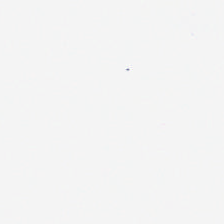H&E.
Q: What is shown in this field?
A: This is no tissue.
